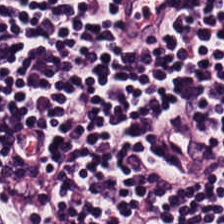Stain: hematoxylin and eosin.
Preparation: FFPE.
Tissue: lymphocyte aggregate.
